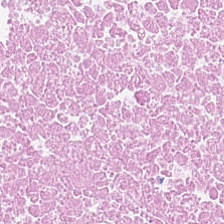Brightfield microscopy; H&E-stained tissue section — {"tissue_type": "cellular debris"}
